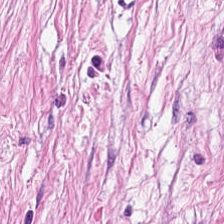{"tissue_type": "desmoplastic stroma"}
